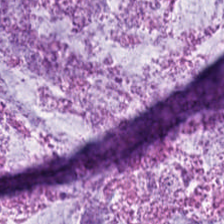0.5 µm/px · H&E-stained tissue section. Tissue: mucus.
